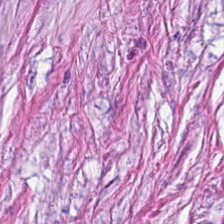H&E. FFPE tissue section. Q: What tissue type is shown here?
A: This is desmoplastic stroma.
